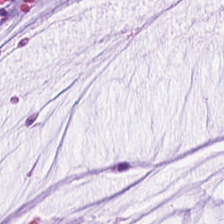H&E — {"tissue_type": "extracellular mucin"}
